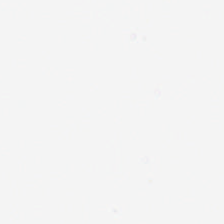Hematoxylin and eosin · whole-slide-image patch. Empty background.
